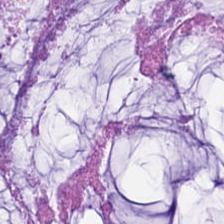Tissue — mucus.
